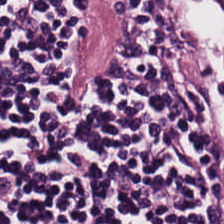H&E-stained tissue section — Tissue type = lymphocyte aggregate.
